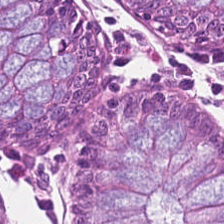H&E-stained tissue section; WSI patch.
Q: What is the predominant tissue type?
A: Normal colonic mucosa.
